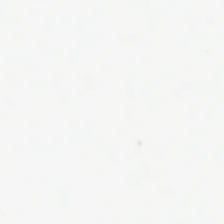Background.
